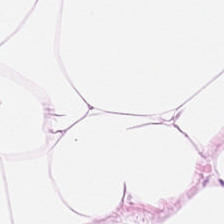Hematoxylin and eosin.
Classification — adipocytes.
